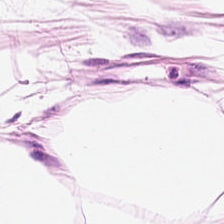H&E stain. Finding — adipose tissue.
